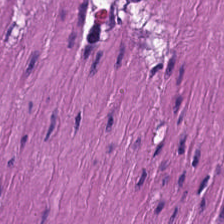H&E stain · 224×224 px patch. This field is muscularis.
